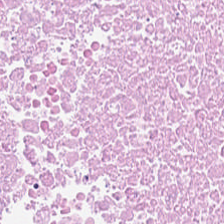Hematoxylin-and-eosin stained section.
Finding — necrotic debris.
